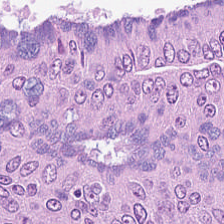Hematoxylin-and-eosin stained section — Q: What does this patch show?
A: It is malignant epithelium.
